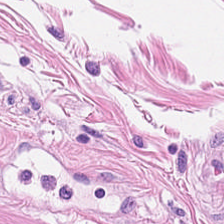Stain: hematoxylin and eosin.
Predominant tissue: muscularis.
